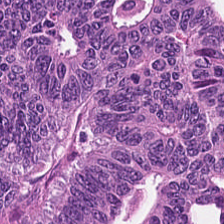224×224 pixel tile. Hematoxylin-and-eosin stained section. Predominant tissue: malignant epithelium.
